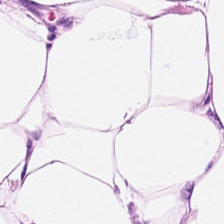The tissue class is adipocytes.
